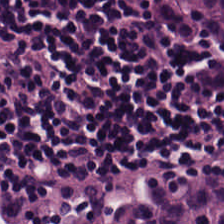Formalin-fixed paraffin-embedded section · H&E stain. Q: What type of tissue is this?
A: The field shows lymphocytes.
